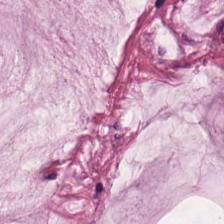Stain: H&E.
Preparation: FFPE tissue section.
Tile size: 224×224 px tile.
Tissue type: mucus.
